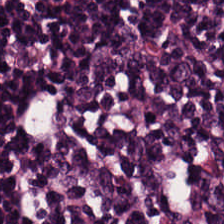Stain: H&E stain.
Tissue type: lymphoid infiltrate.
